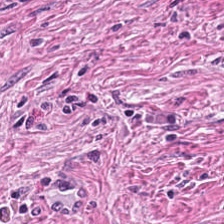Classification = tumor-associated stroma.
